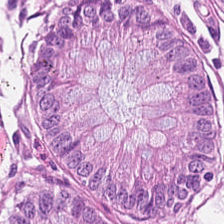H&E-stained tissue section · brightfield · 224×224 px tile. Impression → benign colonic mucosa.
